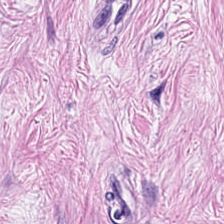0.5 µm/px. H&E.
The tissue type is tumor stroma.
